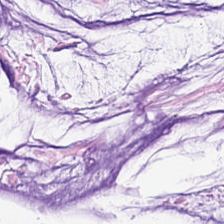H&E. Classification — extracellular mucin.
